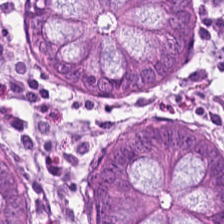FFPE tissue section · H&E · brightfield microscopy. This patch shows non-neoplastic colon mucosa.
